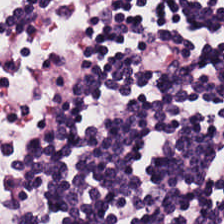H&E-stained tissue section. This field is lymphoid infiltrate.
